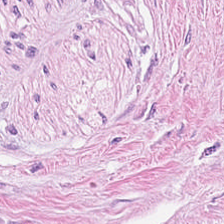FFPE tissue section; H&E — Q: What is the predominant tissue type?
A: The field shows tumor-associated stroma.
